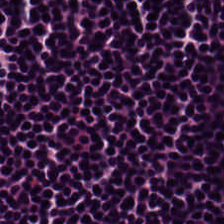Formalin-fixed paraffin-embedded section · hematoxylin-and-eosin stained section.
Finding — lymphocytic infiltrate.
